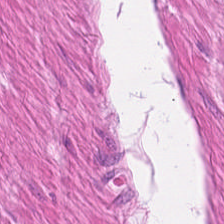H&E-stained tissue section.
Histology → smooth-muscle tissue.
